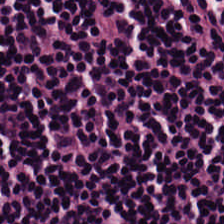Stain: H&E.
Preparation: formalin-fixed paraffin-embedded section.
Acquisition: WSI patch.
Tissue class: lymphocytes.
